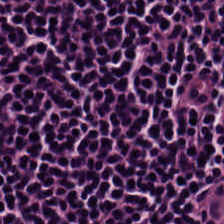H&E-stained tissue section · 0.5 µm/px.
This field is lymphocyte aggregate.
